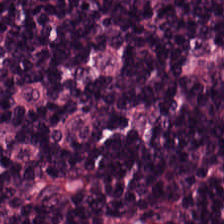Stain: H&E stain.
Tissue class: lymphocytes.
